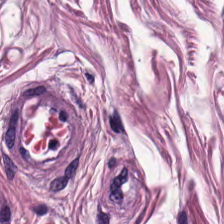Formalin-fixed paraffin-embedded section · H&E. Q: Identify the tissue.
A: This is muscularis.
